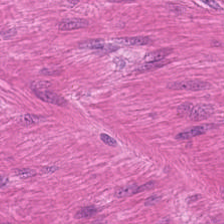This field is muscularis.
